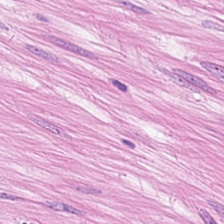H&E-stained tissue section · brightfield microscopy · 224×224 pixel tile.
Tissue — muscularis.
